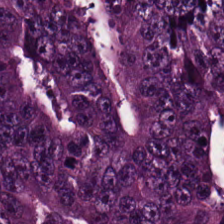Hematoxylin and eosin. 0.5 µm/px. Tissue = tumor epithelium.
